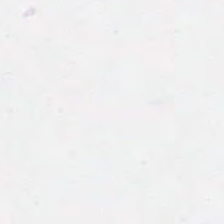Hematoxylin-and-eosin stained section — This field is background (no tissue).
